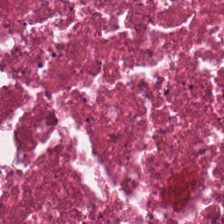Brightfield. H&E — Q: What type of tissue is this?
A: Necrotic debris.
